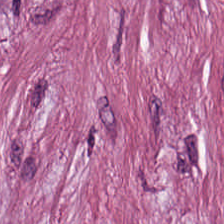H&E.
Q: What is shown here?
A: Tumor stroma.
